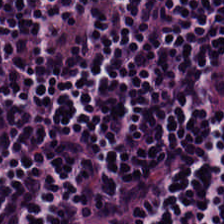H&E stain.
Finding — lymphocytic infiltrate.
